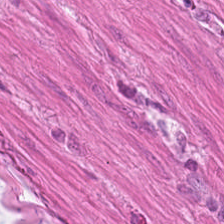0.5 microns per pixel; H&E; FFPE tissue section — Showing smooth muscle.
